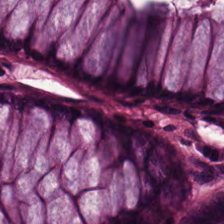FFPE tissue section · brightfield · hematoxylin-and-eosin stained section.
The tissue type is normal colonic mucosa.
